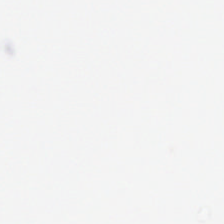Stain: H&E.
Resolution: 0.5 µm/px.
Field content: background.
